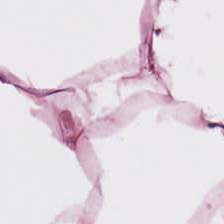FFPE tissue section · H&E. Showing adipocytes.
